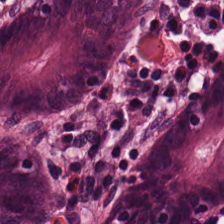Tissue — benign colonic mucosa.
